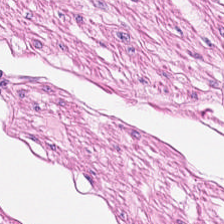Hematoxylin-and-eosin stained section.
Showing smooth-muscle tissue.
